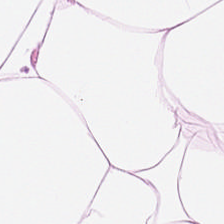Q: What is shown in this field?
A: Adipose tissue.
